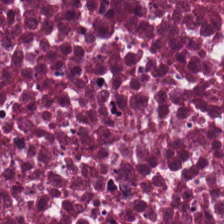Hematoxylin and eosin. Brightfield microscopy. The tissue here is cellular debris.
